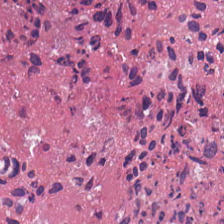Hematoxylin-and-eosin section: cellular debris.
